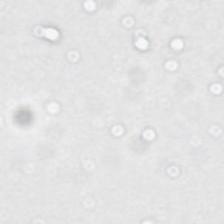H&E stain — Impression — no tissue.
